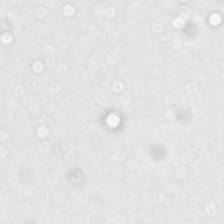H&E — Q: What is shown in this field?
A: Background.
